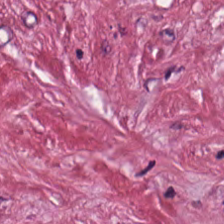Hematoxylin and eosin.
The tissue is desmoplastic stroma.
